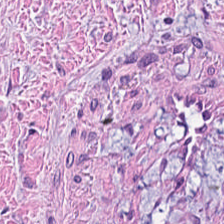Stain: H&E.
Tissue class: tumor-associated stroma.
